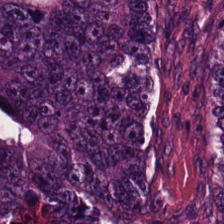0.5 microns per pixel; hematoxylin-and-eosin stained section. This patch shows malignant epithelium.
